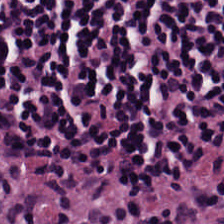The predominant tissue is lymphoid infiltrate.
